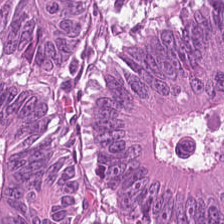H&E-stained tissue section.
{"tissue_type": "malignant epithelium"}
